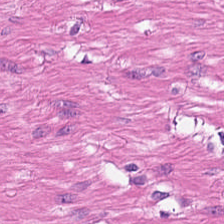H&E stain.
Showing smooth-muscle tissue.
